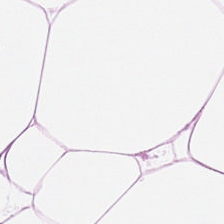Hematoxylin-and-eosin stained section. The classification is adipose tissue.
